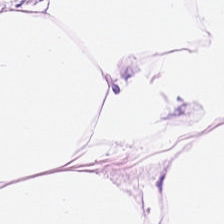Brightfield microscopy. 224×224 pixel tile. H&E. Q: What tissue is shown?
A: The field shows adipose.
